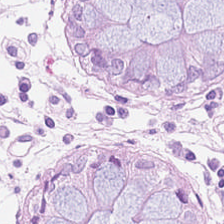H&E stain. Predominantly benign colonic mucosa.
